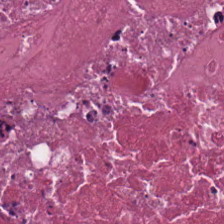H&E — cellular debris.
